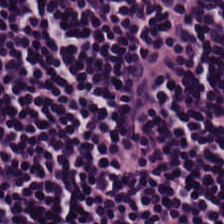Hematoxylin and eosin.
Q: What is the predominant tissue type?
A: It is lymphocyte aggregate.
